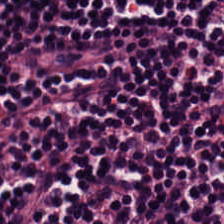Hematoxylin-and-eosin stained section. Predominantly lymphoid infiltrate.
